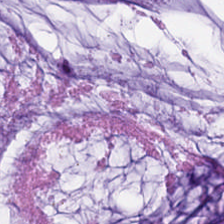Brightfield. 20× equivalent magnification. H&E — Q: What is the predominant tissue type?
A: It is extracellular mucin.
